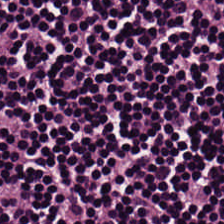H&E-stained tissue section.
Lymphocytic infiltrate.
